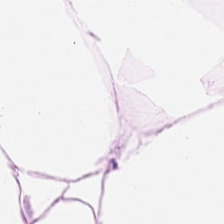H&E-stained tissue section. FFPE tissue section — Q: What does this patch show?
A: This is fat tissue.
